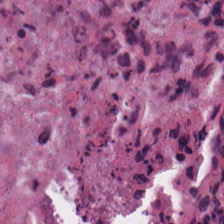Brightfield microscopy · hematoxylin-and-eosin stained section — Impression → cellular debris.
